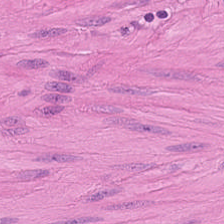H&E stain.
Tissue type — muscularis.
